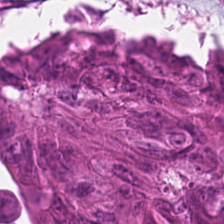224×224 pixel tile · H&E-stained tissue section — Histology → colorectal adenocarcinoma.
